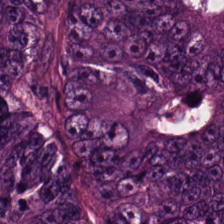H&E. 0.5 microns per pixel. Tissue class = colorectal adenocarcinoma epithelium.
